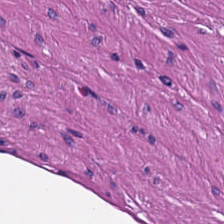H&E-stained section; the field shows smooth-muscle tissue.
